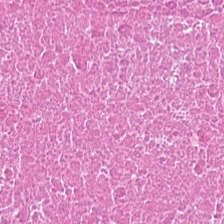Q: What tissue is shown?
A: It is debris.
